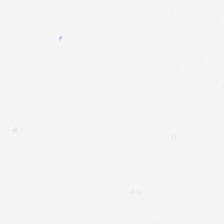H&E-stained tissue section · FFPE tissue section — {"content": "empty background"}
